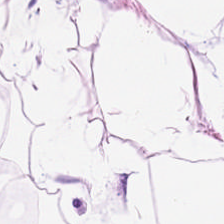Hematoxylin and eosin; formalin-fixed paraffin-embedded section; WSI patch. The tissue here is adipose.
